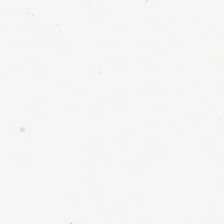Hematoxylin-and-eosin stained section. Field content = background (no tissue).
